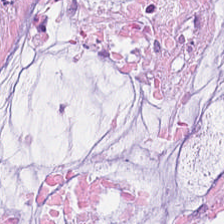Stain: H&E stain.
Acquisition: brightfield microscopy.
Predominant tissue: mucin.
